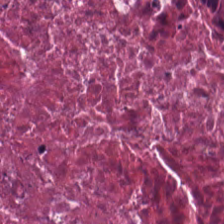Whole-slide-image patch · H&E.
Tissue class: necrotic debris.
